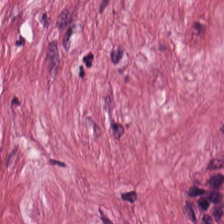Classification = cancer-associated stroma.
